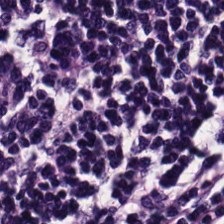H&E stain. Impression → lymphocytes.
